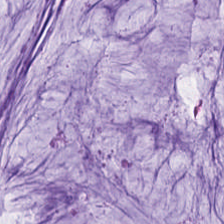Stain: hematoxylin-and-eosin stained section.
Tissue type: mucin.
